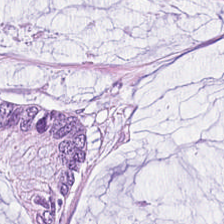H&E-stained tissue section — The tissue here is mucus.
